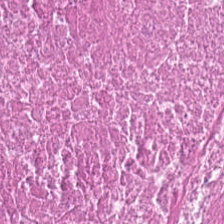H&E-stained tissue section. Brightfield — {"tissue_type": "cellular debris"}
